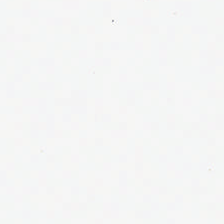H&E stain. This patch shows no tissue.
